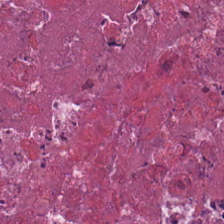H&E-stained tissue section · formalin-fixed paraffin-embedded section.
Finding → debris.
